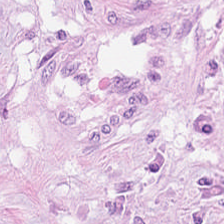Stain: hematoxylin and eosin.
Tissue: cancer-associated stroma.
